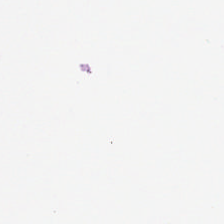Finding → background (no tissue).
